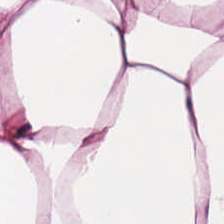Adipose.
